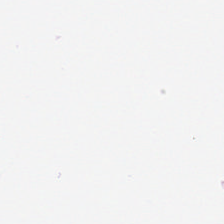0.5 µm/px; hematoxylin-and-eosin stained section; FFPE tissue section — The tissue type is adipose.
